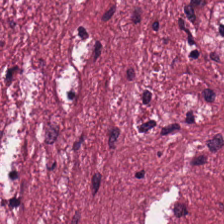Hematoxylin and eosin — The predominant tissue is desmoplastic stroma.
